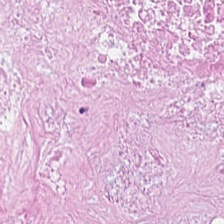H&E · WSI patch — Classification: cellular debris.
